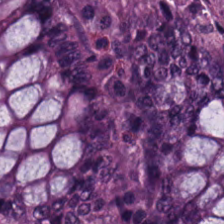H&E-stained tissue section. The predominant tissue is non-neoplastic colon mucosa.
